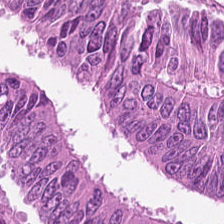Stain: hematoxylin-and-eosin stained section.
Tissue: colorectal adenocarcinoma.
